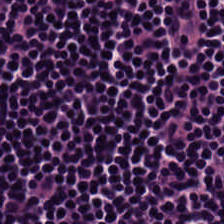H&E stain. Tissue class — lymphocytic infiltrate.
